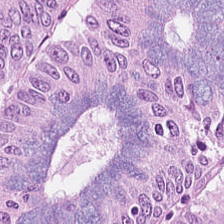224×224 px tile · hematoxylin and eosin — {"tissue_type": "adenocarcinoma"}
